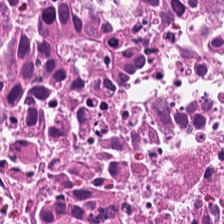H&E-stained tissue section · 0.5 microns per pixel · 224×224 pixel tile.
Classification: necrotic debris.
